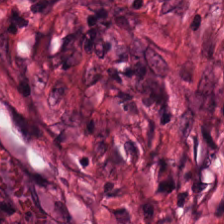Histology → tumor stroma.
